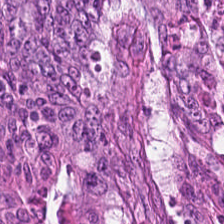Hematoxylin and eosin.
Finding → colorectal adenocarcinoma epithelium.
